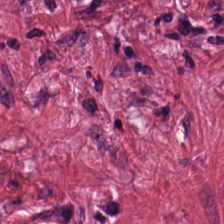FFPE tissue section · brightfield · H&E stain. Q: What does this patch show?
A: Tumor stroma.
